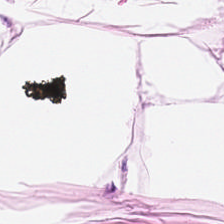20× equivalent magnification. Hematoxylin and eosin. This patch shows adipocytes.
